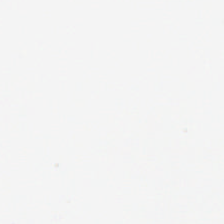H&E-stained tissue section.
This field is background (no tissue).
